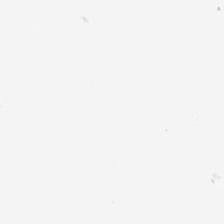FFPE; hematoxylin-and-eosin stained section. Q: What does this patch show?
A: The field shows background (no tissue).
